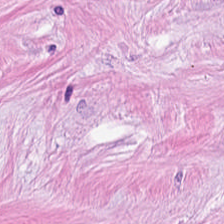The tissue class is tumor stroma.
